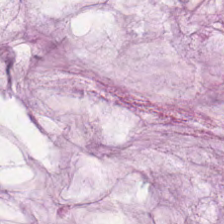H&E stain — Histology — mucin.
